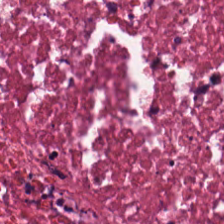H&E.
The tissue is cellular debris.
